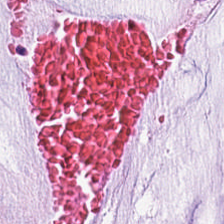Stain: H&E stain.
Tissue type: extracellular mucin.
